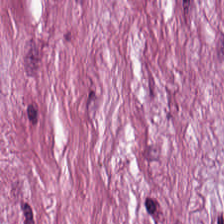H&E-stained tissue section · FFPE.
The tissue type is desmoplastic stroma.
